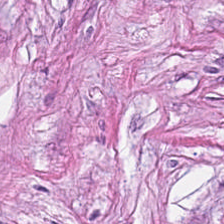Stain: hematoxylin and eosin.
Tissue class: desmoplastic stroma.
